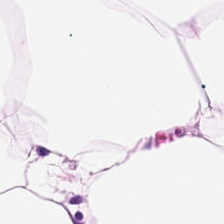Hematoxylin-and-eosin stained section — Q: What is shown in this field?
A: This is adipose tissue.
